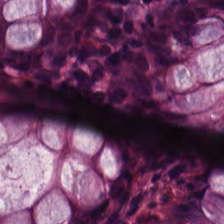H&E. The predominant tissue is normal colonic mucosa.
